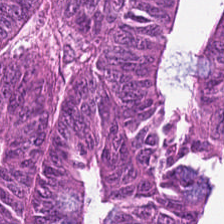The tissue is colorectal adenocarcinoma epithelium.
